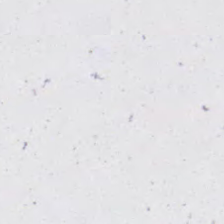Hematoxylin and eosin — Background.
